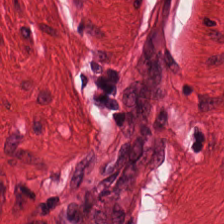Hematoxylin and eosin; 224×224 px tile. Tissue = muscularis.
